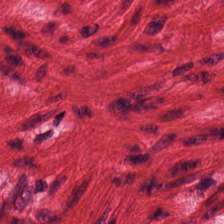H&E-stained tissue section — The predominant tissue is muscularis.
